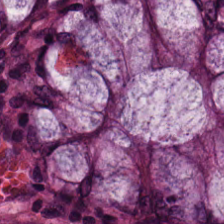FFPE tissue section · hematoxylin-and-eosin stained section · 20× equivalent magnification — Q: Identify the tissue.
A: This is non-neoplastic colon mucosa.
